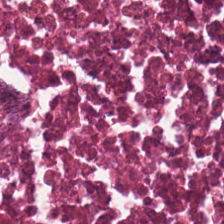Stain: hematoxylin and eosin.
Predominant tissue: cellular debris.
